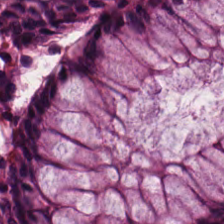The predominant tissue is normal colon mucosa.
